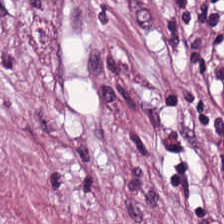H&E-stained tissue section. Tissue: tumor stroma.
